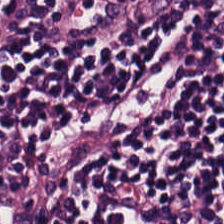Q: Classify this patch.
A: Lymphocytes.
